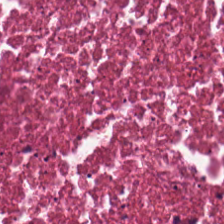224×224 pixel tile · hematoxylin and eosin · 0.5 microns per pixel — Tissue type = cellular debris.
